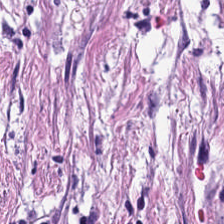Stain: hematoxylin and eosin.
Tissue: cancer-associated stroma.
